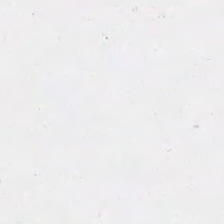Stain: H&E stain.
Resolution: 0.5 microns per pixel.
Content: empty background.
